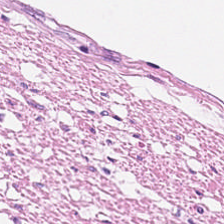FFPE tissue section; 0.5 microns per pixel; hematoxylin-and-eosin stained section.
The predominant tissue is smooth-muscle tissue.
